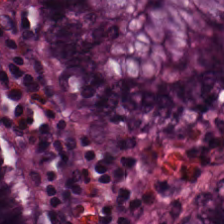Hematoxylin-and-eosin stained section. Brightfield microscopy. 224×224 px patch — Showing non-neoplastic colon mucosa.
